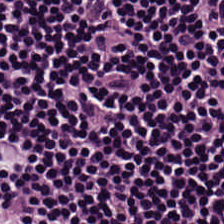Hematoxylin-and-eosin stained section · whole-slide-image patch · FFPE tissue section.
Lymphocytes.
